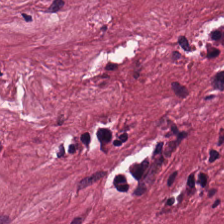224×224 pixel tile · H&E · 20× equivalent magnification.
The tissue type is tumor stroma.
